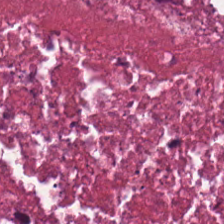Q: Identify the tissue.
A: It is necrotic debris.
